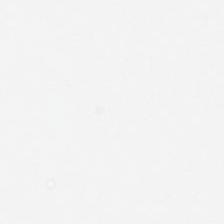0.5 µm per pixel; brightfield; H&E-stained tissue section — Background — no tissue in this field.
